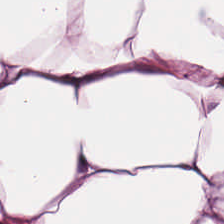H&E.
Adipose tissue.
